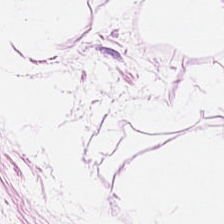Formalin-fixed paraffin-embedded section; H&E — Adipocytes.
